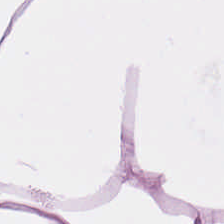H&E. 224×224 px patch — {"tissue_type": "adipose tissue"}
